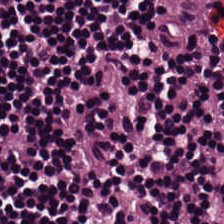0.5 µm per pixel. H&E-stained tissue section — Tissue class — lymphocytes.
